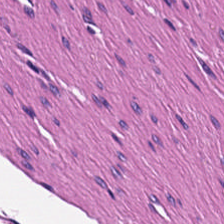Stain: H&E stain.
Preparation: formalin-fixed paraffin-embedded section.
Acquisition: brightfield microscopy.
Predominant tissue: smooth muscle.
